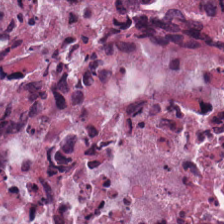0.5 µm per pixel; H&E — The tissue class is cellular debris.
